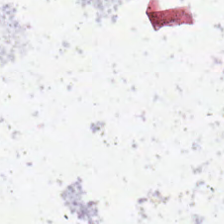The classification is background (no tissue).
